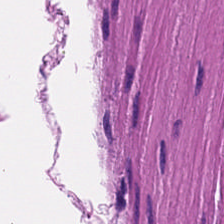Hematoxylin and eosin. Showing smooth muscle.
